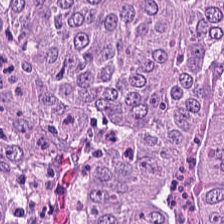H&E — Predominant tissue: adenocarcinoma.
